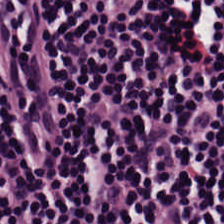0.5 microns per pixel. FFPE. H&E-stained tissue section. Tissue type — lymphocytic infiltrate.
